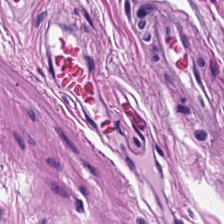Hematoxylin-and-eosin stained section.
Smooth muscle.
